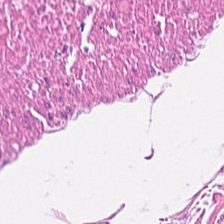Brightfield; H&E-stained tissue section — The predominant tissue is smooth muscle.
